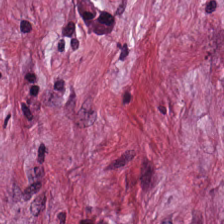Hematoxylin and eosin. This patch shows cancer-associated stroma.
